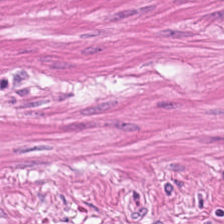This patch shows muscularis.
